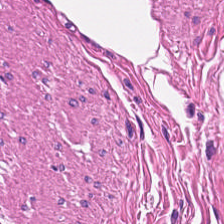H&E-stained section; the field shows smooth-muscle tissue.
